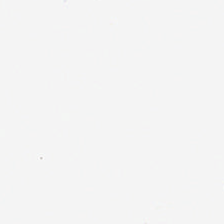H&E; FFPE tissue section — {"content": "no tissue"}
